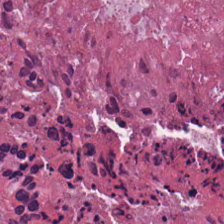Whole-slide-image patch. 0.5 microns per pixel. Hematoxylin and eosin — Impression — cellular debris.
